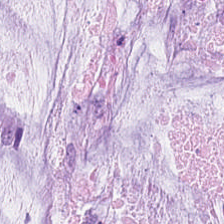H&E stain. Predominant tissue — mucin.
